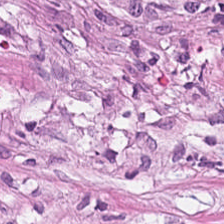Brightfield · H&E stain — Cancer-associated stroma.
